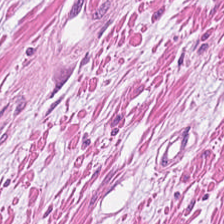224×224 pixel tile · H&E stain · FFPE.
Q: Identify the tissue.
A: This is muscularis.
